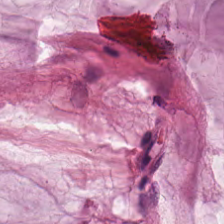This patch shows mucin.
